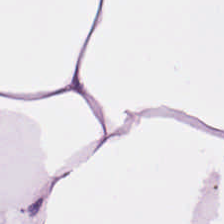Hematoxylin and eosin. Q: What does this patch show?
A: It is fat tissue.
